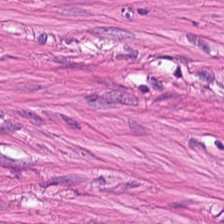20× equivalent magnification; brightfield microscopy; hematoxylin-and-eosin stained section.
Q: Identify the tissue.
A: This is muscularis.
